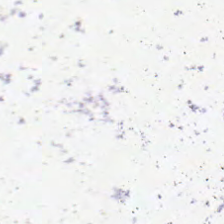224×224 px tile; FFPE; H&E.
Q: What is shown here?
A: The field shows background (no tissue).
